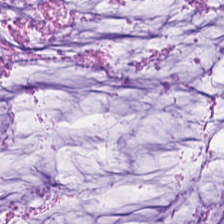0.5 µm/px. H&E-stained tissue section.
The predominant tissue is extracellular mucin.
